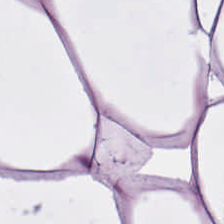Stain: hematoxylin-and-eosin stained section.
Tissue type: adipocytes.
